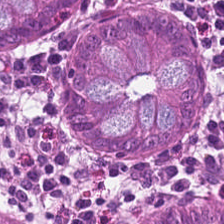Histology → normal colonic mucosa.
